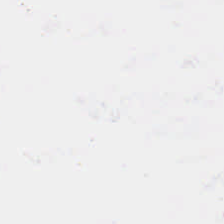Stain: hematoxylin-and-eosin stained section.
Tile size: 224×224 px tile.
Acquisition: WSI patch.
Field content: empty background.
